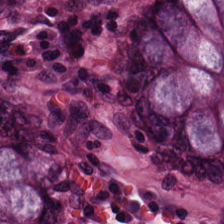H&E stain.
This patch shows normal colonic mucosa.
